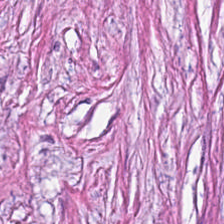{"tissue_type": "cancer-associated stroma"}
